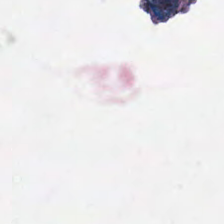224×224 pixel tile · hematoxylin-and-eosin stained section.
Q: Classify this patch.
A: This is no tissue.
